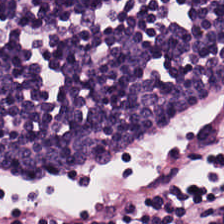H&E-stained tissue section showing lymphocyte aggregate.
